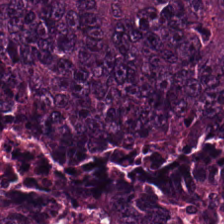H&E stain.
Tumor epithelium.
